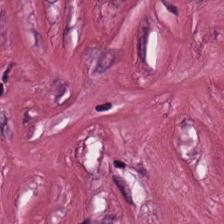Q: What tissue type is shown here?
A: The field shows desmoplastic stroma.
